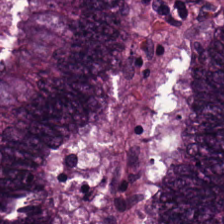Tissue type — adenocarcinoma.
